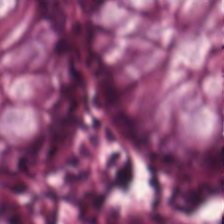Hematoxylin and eosin.
Showing benign colonic mucosa.
